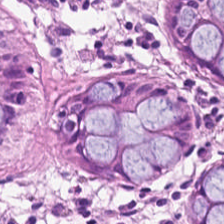Stain: H&E-stained tissue section.
Acquisition: brightfield.
Tissue class: normal colonic mucosa.
